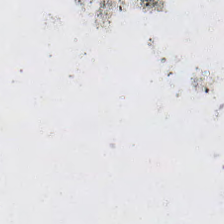Empty field — background (no tissue).
